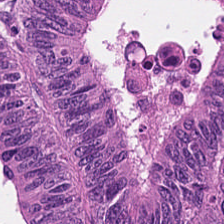H&E-stained tissue section. Q: What is shown here?
A: This is malignant epithelium.
